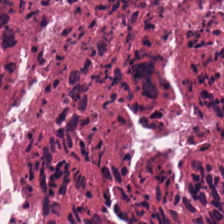H&E-stained tissue section showing cellular debris.
